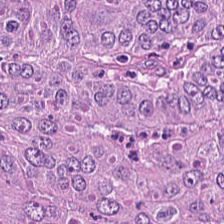Hematoxylin-and-eosin stained section. Tissue class: tumor epithelium.
